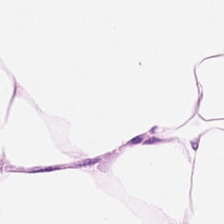Hematoxylin and eosin; FFPE tissue section; 224×224 px tile — The predominant tissue is fat tissue.
